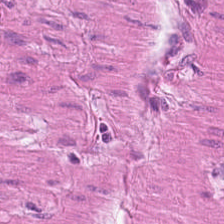Hematoxylin and eosin. Classification — smooth muscle.
